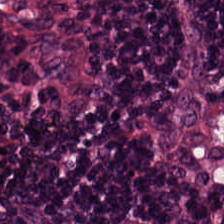Stain: hematoxylin-and-eosin stained section.
Tissue type: lymphocytes.
